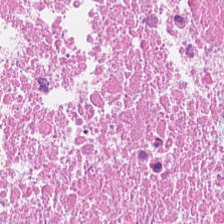H&E-stained tissue section. FFPE.
Q: What is shown here?
A: Debris.
